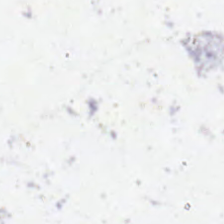Stain: H&E.
Acquisition: brightfield.
Classification: background (no tissue).
